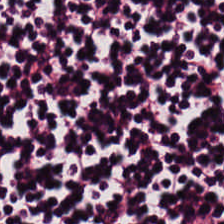224×224 pixel tile; H&E stain; 20× equivalent magnification.
This field is lymphocytic infiltrate.
